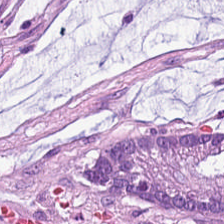Hematoxylin-and-eosin stained section. This patch shows extracellular mucin.
